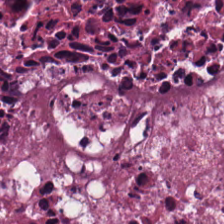224×224 px tile · H&E stain · FFPE tissue section.
Finding → cellular debris.
